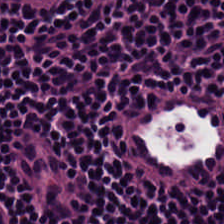Hematoxylin-and-eosin stained section — Q: Classify this patch.
A: This is lymphocytes.
